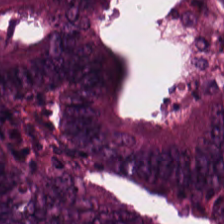Hematoxylin-and-eosin stained section.
The predominant tissue is colorectal adenocarcinoma epithelium.
